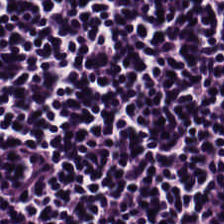Hematoxylin and eosin. 224×224 pixel tile — The predominant tissue is lymphoid infiltrate.
